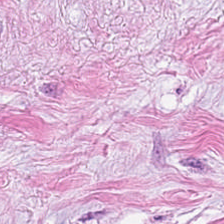This patch shows cancer-associated stroma.
